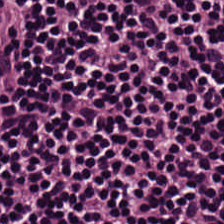Q: What tissue type is shown here?
A: It is lymphoid infiltrate.
